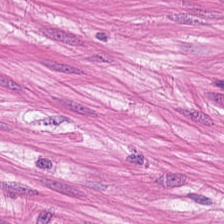Tissue class: smooth-muscle tissue.
